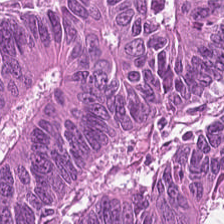Hematoxylin and eosin. Predominantly tumor epithelium.
